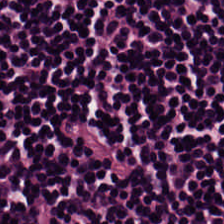H&E-stained tissue section. The tissue here is lymphoid infiltrate.
